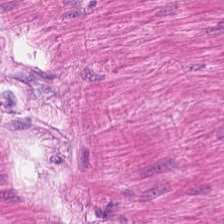H&E patch showing smooth muscle.
